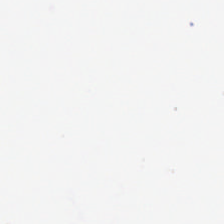The field content is background (no tissue).
